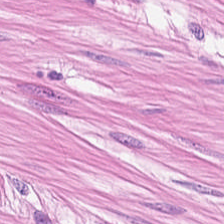Q: Classify this patch.
A: This is smooth-muscle tissue.
